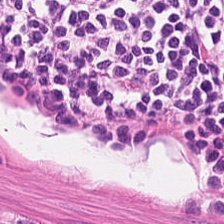Hematoxylin-and-eosin stained section · 20× equivalent magnification — Tissue class = smooth muscle.
